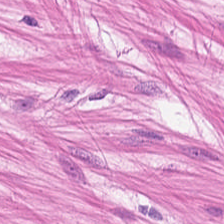H&E-stained tissue section; formalin-fixed paraffin-embedded section. Finding — smooth-muscle tissue.
